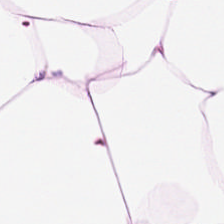Hematoxylin-and-eosin stained section; WSI patch; 224×224 px patch — Showing adipocytes.
